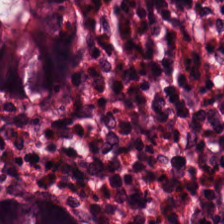H&E; FFPE tissue section.
The tissue here is normal colon mucosa.
